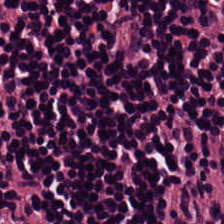Q: What is the predominant tissue type?
A: It is lymphocytic infiltrate.
